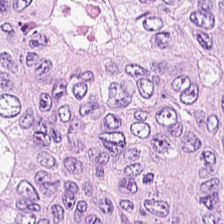H&E-stained tissue section; brightfield microscopy — Tumor epithelium.
